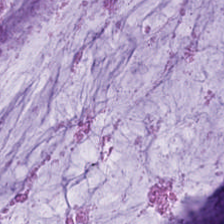H&E-stained section; the field shows mucin.
